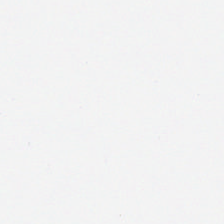Hematoxylin and eosin — Q: What does this patch show?
A: The field shows empty background.
